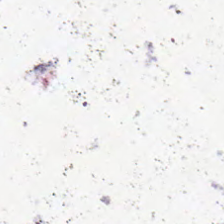Stain: H&E.
Classification: empty background.
